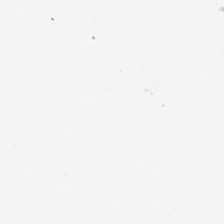Hematoxylin and eosin — Content: background.
